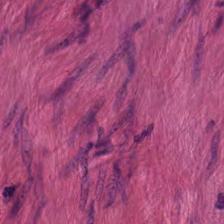Hematoxylin and eosin.
Predominantly smooth-muscle tissue.
